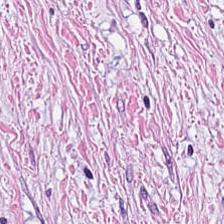Hematoxylin-and-eosin stained section · formalin-fixed paraffin-embedded section.
This patch shows desmoplastic stroma.
